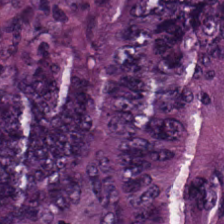Stain: H&E.
Tissue class: tumor epithelium.
